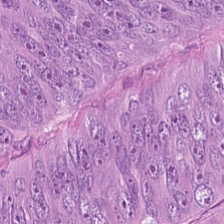Hematoxylin-and-eosin stained section — The predominant tissue is colorectal adenocarcinoma.
